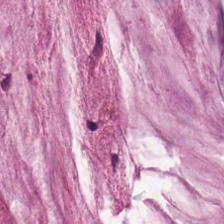Stain: H&E-stained tissue section.
Tile size: 224×224 pixel tile.
Classification: extracellular mucin.
